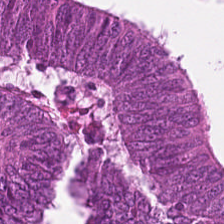H&E stain; 224×224 px patch.
Predominant tissue = colorectal adenocarcinoma.
